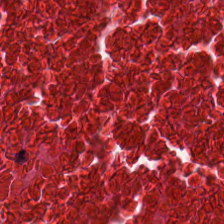Formalin-fixed paraffin-embedded section; hematoxylin-and-eosin stained section.
Q: What is the predominant tissue type?
A: The field shows cellular debris.
